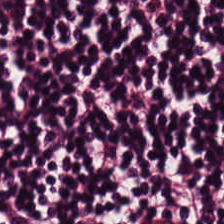H&E. Impression → lymphoid infiltrate.
